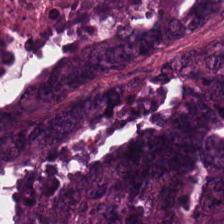0.5 µm/px; H&E. {"tissue_type": "adenocarcinoma"}
